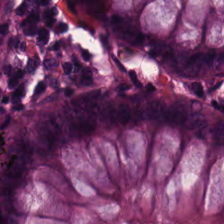FFPE tissue section; H&E stain — Classification = normal colonic mucosa.
